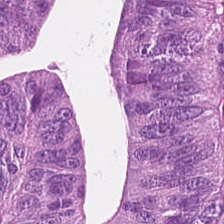H&E-stained tissue section. 0.5 µm/px.
This field is colorectal adenocarcinoma epithelium.
